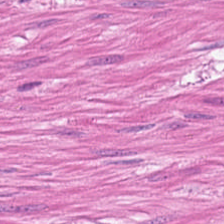Hematoxylin-and-eosin stained section. 224×224 pixel tile — Tissue class = smooth muscle.
